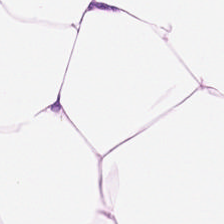The tissue type is fat tissue.
